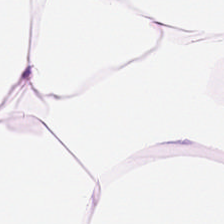H&E stain — This patch shows adipose.
